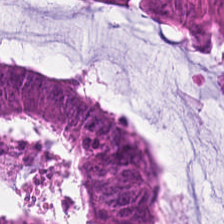H&E stain; 0.5 microns per pixel — Classification: adenocarcinoma.
